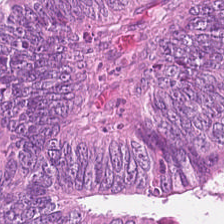H&E stain. Q: What is shown in this field?
A: This is malignant epithelium.
